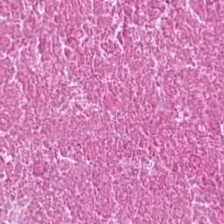H&E.
The tissue here is cellular debris.
